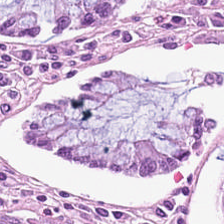Hematoxylin-and-eosin section: normal colon mucosa.
